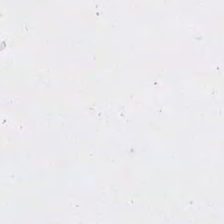0.5 µm per pixel; H&E-stained tissue section. Classification: background (no tissue).
